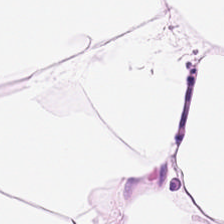Formalin-fixed paraffin-embedded section; hematoxylin-and-eosin stained section — The tissue here is adipose.
